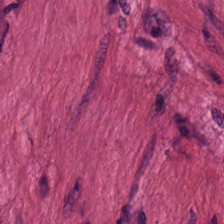224×224 px tile; H&E.
Predominantly smooth-muscle tissue.
